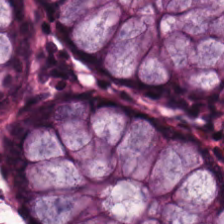H&E-stained tissue section — Predominant tissue: benign colonic mucosa.
